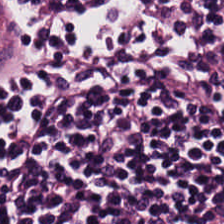Hematoxylin and eosin. Q: What tissue is shown?
A: This is lymphocyte aggregate.
